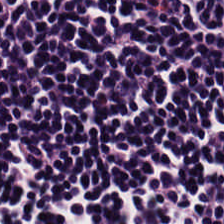Q: Identify the tissue.
A: This is lymphocytic infiltrate.
